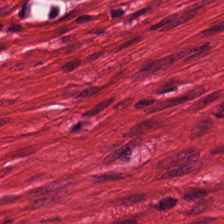FFPE tissue section; H&E.
Q: What is shown in this field?
A: This is smooth-muscle tissue.
